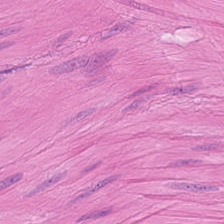Hematoxylin-and-eosin stained section; WSI patch. Finding → smooth-muscle tissue.
